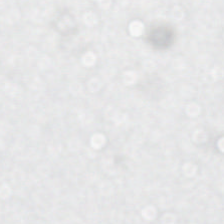Hematoxylin and eosin — {"content": "empty background"}
